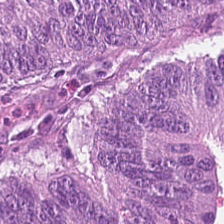H&E · 0.5 µm per pixel. Classification = tumor epithelium.
